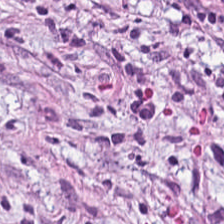H&E-stained tissue section — Classification: tumor stroma.
